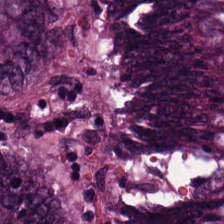H&E-stained tissue section.
The predominant tissue is tumor epithelium.
